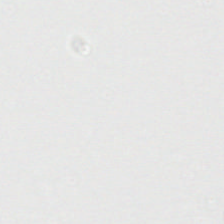224×224 pixel tile. Hematoxylin and eosin.
Field content — background (no tissue).
